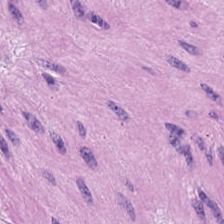Predominant tissue = smooth-muscle tissue.
